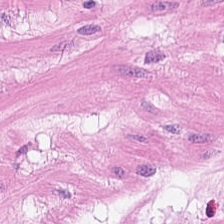0.5 µm per pixel; hematoxylin-and-eosin stained section. Q: Classify this patch.
A: It is smooth-muscle tissue.
